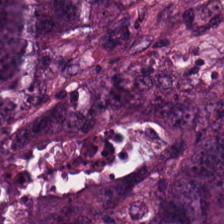Stain: H&E stain.
Classification: tumor epithelium.
